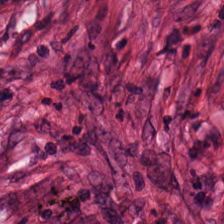H&E-stained tissue section.
Q: What does this patch show?
A: The field shows tumor-associated stroma.
